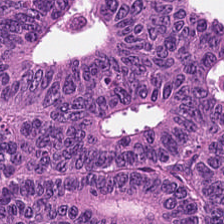H&E-stained tissue section showing malignant epithelium.
